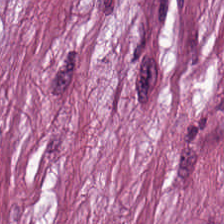H&E.
Q: What is shown here?
A: It is tumor-associated stroma.
